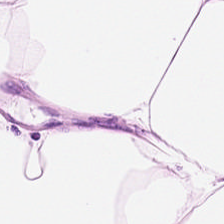H&E-stained tissue section.
The tissue class is adipose.
